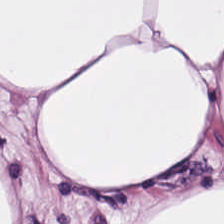H&E · 224×224 px tile. The tissue type is adipose.
